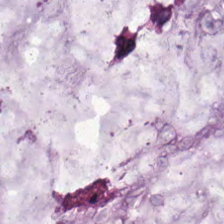H&E stain.
The tissue class is mucin.
